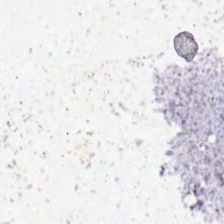Brightfield microscopy. Hematoxylin-and-eosin stained section.
Q: What is shown in this field?
A: It is background.
